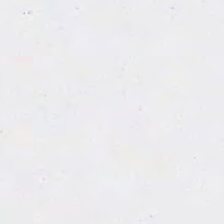This field is background (no tissue).
